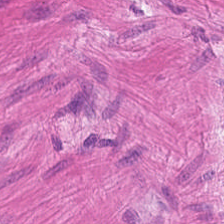FFPE; H&E — Q: What does this patch show?
A: It is smooth-muscle tissue.
